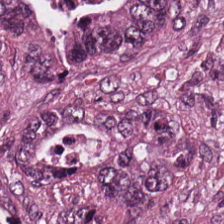Finding — adenocarcinoma.
